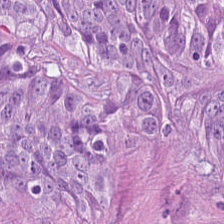H&E.
Impression — colorectal adenocarcinoma.
